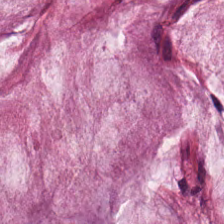224×224 pixel tile · 0.5 microns per pixel · hematoxylin-and-eosin stained section. Mucus.
